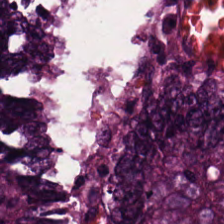Stain: hematoxylin-and-eosin stained section.
Tissue type: tumor epithelium.
